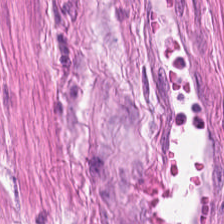Finding — smooth muscle.
